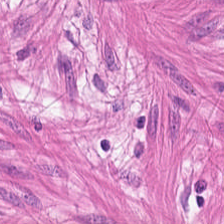Hematoxylin and eosin.
This field is muscularis.
